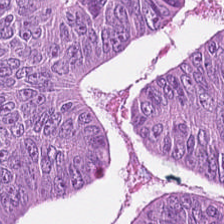H&E patch showing adenocarcinoma.
